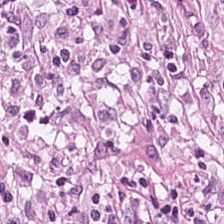H&E stain. This field is tumor stroma.
